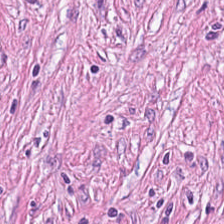224×224 pixel tile. H&E.
The predominant tissue is tumor stroma.
